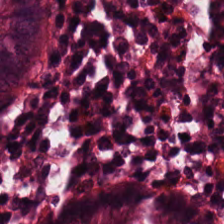Stain: hematoxylin and eosin.
Classification: benign colonic mucosa.
